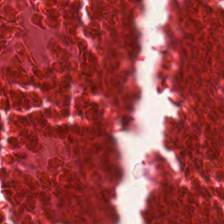H&E-stained tissue section — Impression → cellular debris.
